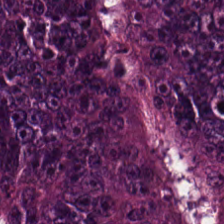H&E-stained tissue section — {"tissue_type": "colorectal adenocarcinoma"}
